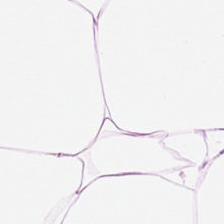Hematoxylin-and-eosin stained section.
This patch shows adipocytes.
